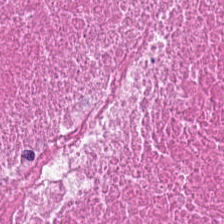Hematoxylin-and-eosin stained section. This patch shows cellular debris.
